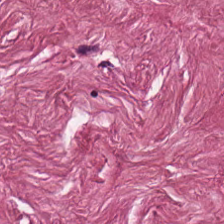Brightfield microscopy · H&E stain · 0.5 microns per pixel. Predominantly cancer-associated stroma.
